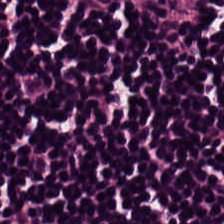H&E stain.
The tissue is lymphoid infiltrate.
